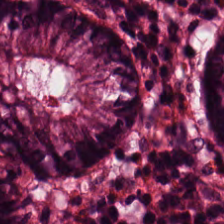H&E.
The tissue here is non-neoplastic colon mucosa.
